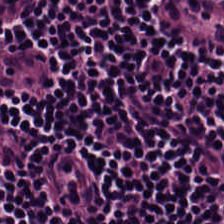224×224 px tile; H&E-stained tissue section; WSI patch.
Q: Classify this patch.
A: Lymphocytes.
